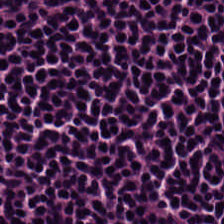Showing lymphocytes.
